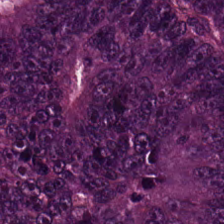Hematoxylin and eosin.
This patch shows colorectal adenocarcinoma epithelium.
